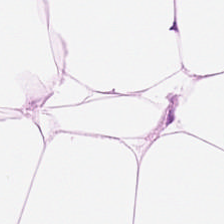Hematoxylin-and-eosin stained section. This patch shows adipocytes.
